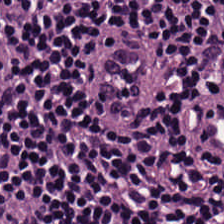H&E; 0.5 µm/px — Q: What tissue is shown?
A: This is lymphocytic infiltrate.
